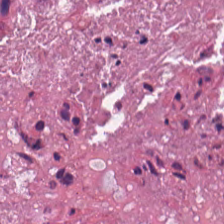H&E-stained tissue section. The predominant tissue is necrotic debris.
